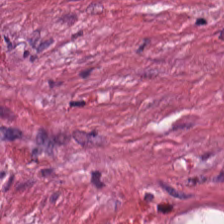Tumor stroma.
